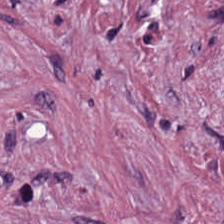Stain: H&E-stained tissue section.
Tissue class: tumor stroma.
